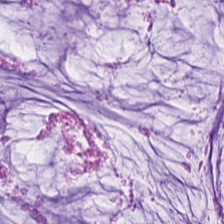Predominant tissue: mucus.
